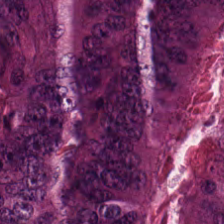Stain: hematoxylin and eosin.
Tissue: colorectal adenocarcinoma.
